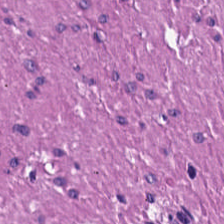Hematoxylin-and-eosin stained section; formalin-fixed paraffin-embedded section — The predominant tissue is muscularis.
